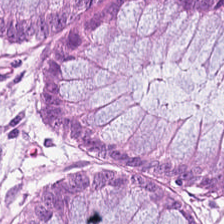20× equivalent magnification; hematoxylin and eosin.
Tissue type — normal colonic mucosa.
